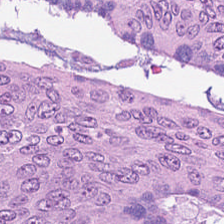Malignant epithelium.
